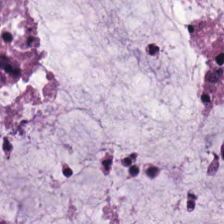Stain: H&E stain.
Resolution: 0.5 µm per pixel.
Tissue type: extracellular mucin.
